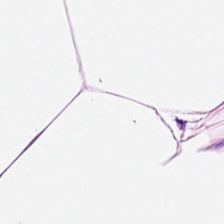FFPE. H&E. 224×224 px tile — Showing adipose tissue.
